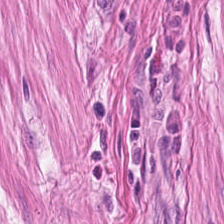Hematoxylin-and-eosin stained section.
The tissue here is smooth muscle.
